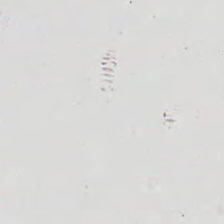Hematoxylin-and-eosin stained section · formalin-fixed paraffin-embedded section — Background — no tissue in this field.
